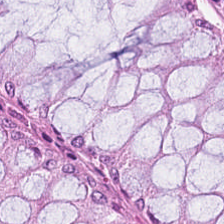FFPE tissue section · H&E-stained tissue section.
The tissue is benign colonic mucosa.
